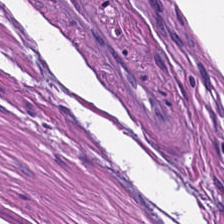Tissue type: muscularis.
